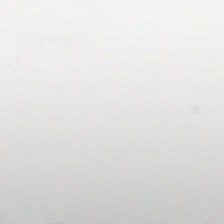H&E — Q: What is shown here?
A: The field shows background.
